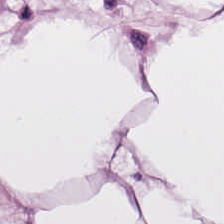H&E stain. This patch shows fat tissue.
